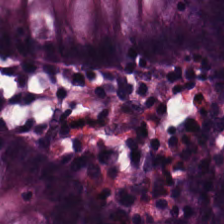Q: What tissue is shown?
A: The field shows normal colon mucosa.
